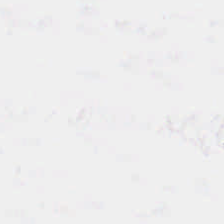H&E stain. Formalin-fixed paraffin-embedded section.
Field content — background (no tissue).
